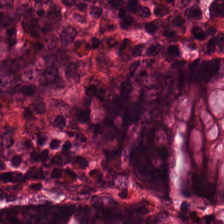224×224 pixel tile; hematoxylin-and-eosin stained section; FFPE tissue section. Tissue class: normal colon mucosa.
